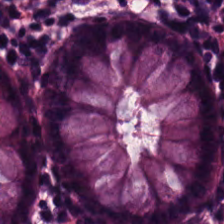H&E-stained tissue section. Predominantly normal colonic mucosa.
